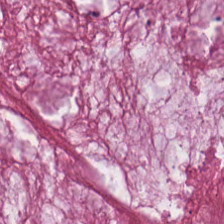224×224 pixel tile. 0.5 µm/px. H&E — Q: What is shown in this field?
A: It is extracellular mucin.
